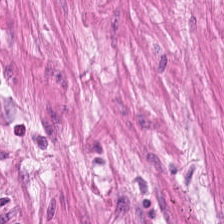Stain: H&E stain.
Tissue type: smooth muscle.
